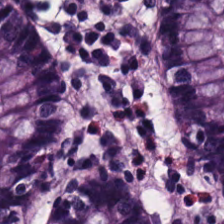Histology → normal colonic mucosa.
